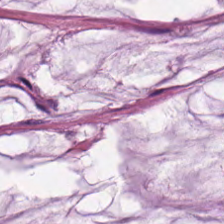Q: What tissue type is shown here?
A: Extracellular mucin.
